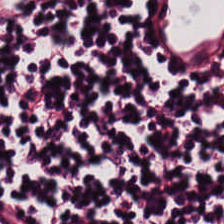H&E stain. Brightfield microscopy.
Classification = lymphocytes.
